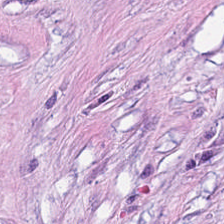The predominant tissue is cancer-associated stroma.
